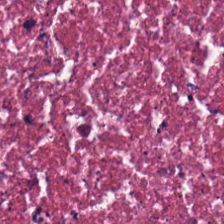Stain: H&E-stained tissue section.
Resolution: 0.5 µm/px.
Tissue class: debris.
